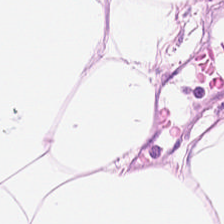Hematoxylin-and-eosin stained section; 0.5 µm/px; brightfield microscopy.
Finding — adipose.
